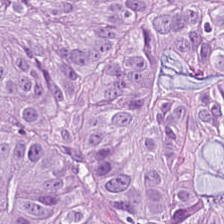FFPE; H&E; 224×224 pixel tile. {"tissue_type": "tumor epithelium"}
